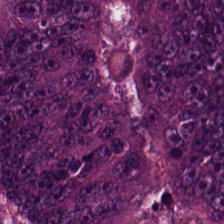H&E. Q: What is the predominant tissue type?
A: The field shows colorectal adenocarcinoma epithelium.
